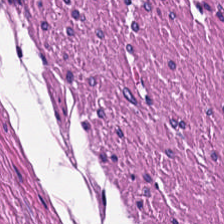H&E. 224×224 pixel tile — The predominant tissue is smooth muscle.
